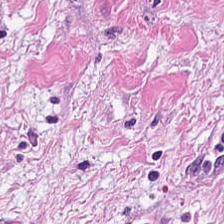H&E. Brightfield. Impression → cancer-associated stroma.
